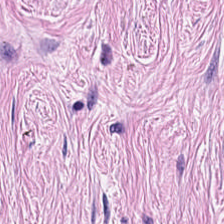Tumor-associated stroma.
